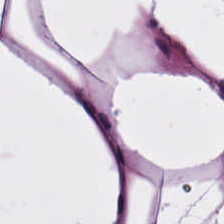Tissue: adipocytes.
